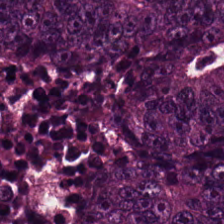Stain: hematoxylin and eosin.
Tile size: 224×224 px tile.
Preparation: FFPE.
Predominant tissue: colorectal adenocarcinoma.
